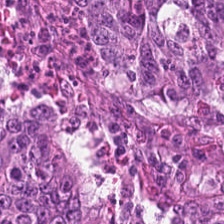FFPE tissue section; H&E stain. Colorectal adenocarcinoma epithelium.
